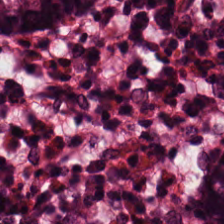H&E patch showing non-neoplastic colon mucosa.
